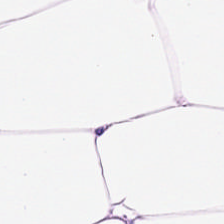Finding → fat tissue.
